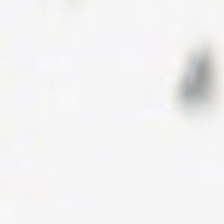Hematoxylin-and-eosin stained section. 224×224 pixel tile. Brightfield. No tissue present; background only.
